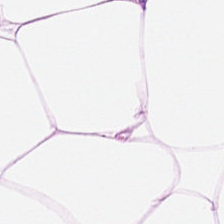H&E · 224×224 pixel tile.
The predominant tissue is adipose.
